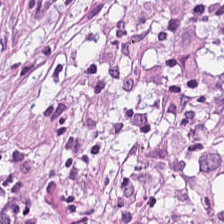This patch shows desmoplastic stroma.
